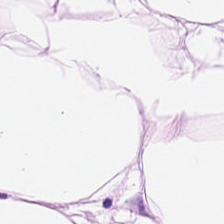Predominant tissue — adipocytes.
